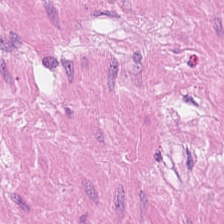Finding → muscularis.
